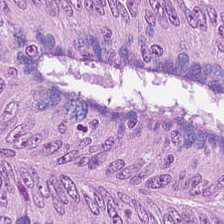224×224 px tile. H&E stain.
Tissue = adenocarcinoma.
